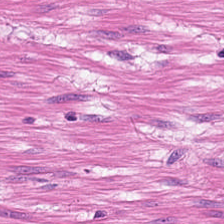Hematoxylin and eosin. Tissue type — muscularis.
